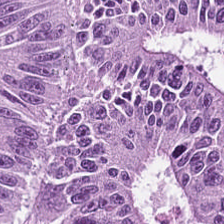FFPE tissue section. Brightfield microscopy. H&E. Q: What tissue type is shown here?
A: Malignant epithelium.
